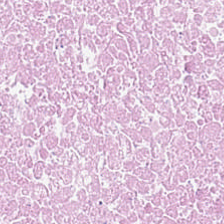Hematoxylin-and-eosin stained section; 224×224 px tile; formalin-fixed paraffin-embedded section.
Predominantly debris.
